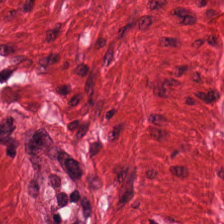Hematoxylin-and-eosin stained section. Finding — muscularis.
